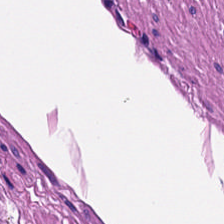Brightfield; H&E stain. Tissue class: smooth muscle.
